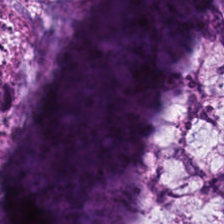Hematoxylin and eosin.
The predominant tissue is mucin.
